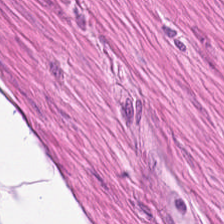H&E stain.
Impression → muscularis.
